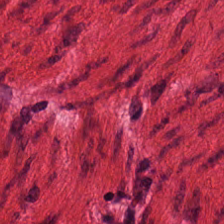Finding — smooth muscle.
